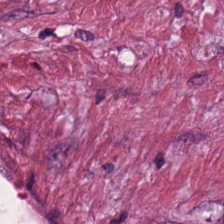Brightfield; H&E-stained tissue section; 224×224 pixel tile. Tissue = cancer-associated stroma.
